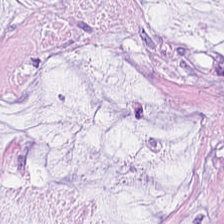Predominantly mucus.
